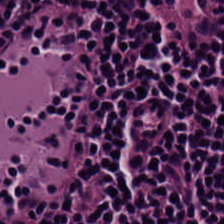H&E; FFPE. Showing lymphocytic infiltrate.
